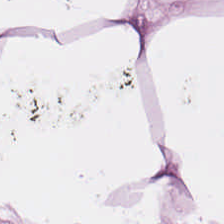224×224 px tile · H&E stain · 20× equivalent magnification.
{"tissue_type": "adipose tissue"}
